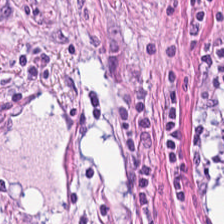Brightfield microscopy · H&E.
Tissue type: tumor-associated stroma.
